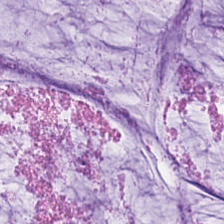{"tissue_type": "extracellular mucin"}
